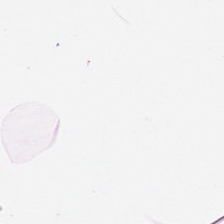Hematoxylin-and-eosin stained section.
Predominantly fat tissue.
